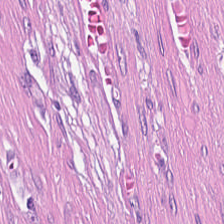Stain: H&E-stained tissue section.
Tissue class: desmoplastic stroma.
